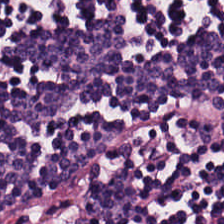Finding — lymphocytic infiltrate.
